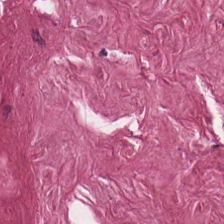H&E-stained tissue section; 20× equivalent magnification — Tumor stroma.
